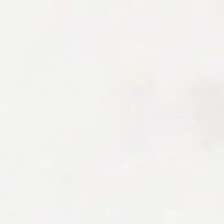H&E. This patch shows background.
